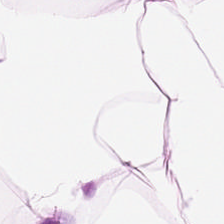Hematoxylin-and-eosin stained section · 224×224 pixel tile. Impression → adipose tissue.
